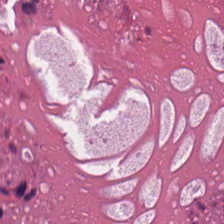0.5 µm per pixel. H&E.
The predominant tissue is necrotic debris.
